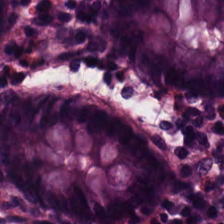H&E stain; formalin-fixed paraffin-embedded section.
The classification is normal colon mucosa.
